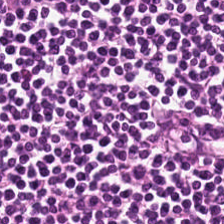{"tissue_type": "lymphoid infiltrate"}
